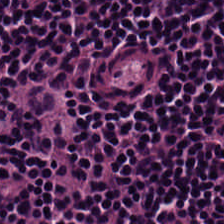Hematoxylin and eosin. The predominant tissue is lymphoid infiltrate.
